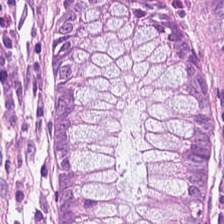Classification: normal colon mucosa.
